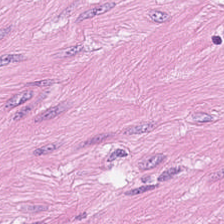Finding → smooth muscle.
